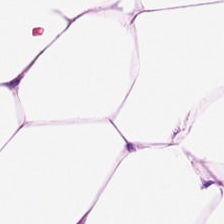FFPE tissue section; H&E — This patch shows adipocytes.
